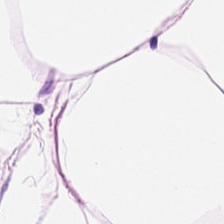WSI patch; H&E stain. Impression → fat tissue.
